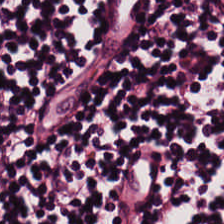H&E-stained tissue section. Q: Identify the tissue.
A: It is lymphocytic infiltrate.
